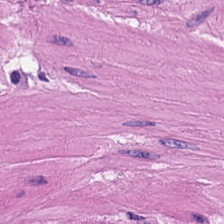Predominant tissue — smooth-muscle tissue.
